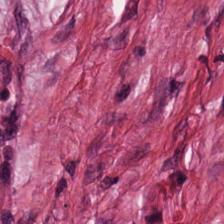H&E stain. Whole-slide-image patch.
Predominant tissue: tumor stroma.
